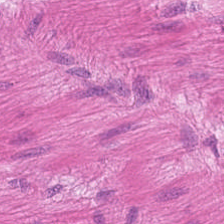Hematoxylin-and-eosin stained section — This field is smooth muscle.
